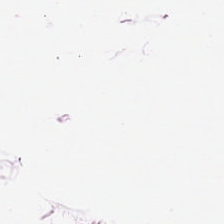H&E stain. Tissue = adipose.
